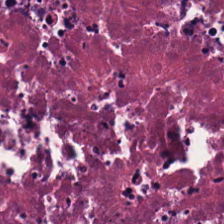Hematoxylin-and-eosin stained section · brightfield. Cellular debris.
